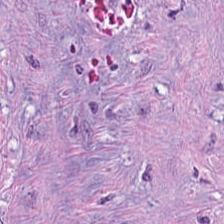Hematoxylin and eosin. Impression — tumor-associated stroma.
